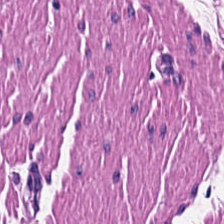0.5 µm per pixel. WSI patch. H&E stain. The classification is muscularis.
